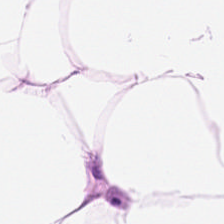Formalin-fixed paraffin-embedded section · hematoxylin-and-eosin stained section — The predominant tissue is adipocytes.
